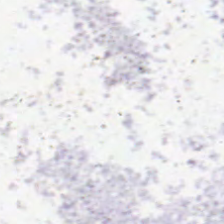0.5 µm/px; brightfield microscopy; H&E stain.
{"content": "background"}
